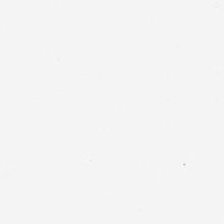Stain: H&E stain.
Preparation: FFPE tissue section.
Field content: empty background.
